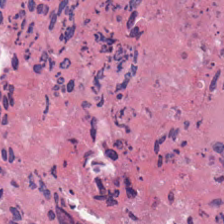H&E stain; FFPE. Predominantly debris.
